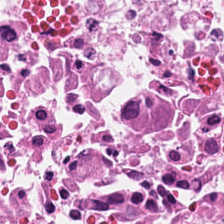H&E stain.
Classification: debris.
